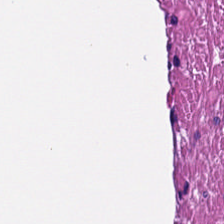0.5 µm per pixel · hematoxylin-and-eosin stained section · brightfield — The classification is smooth muscle.
